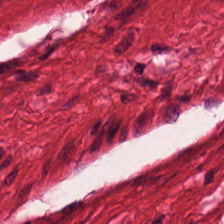H&E stain. 0.5 microns per pixel. Predominantly smooth muscle.
